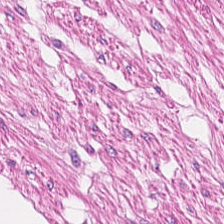{"tissue_type": "smooth muscle"}
